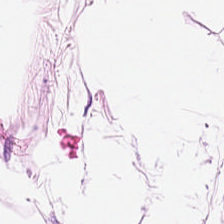FFPE tissue section · brightfield microscopy · hematoxylin and eosin — This patch shows adipose.
